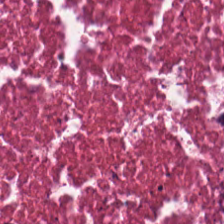The predominant tissue is cellular debris.
